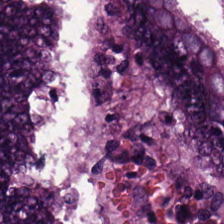Stain: hematoxylin and eosin.
Tissue type: colorectal adenocarcinoma.
